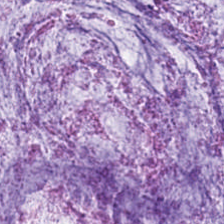H&E stain.
This patch shows mucin.
